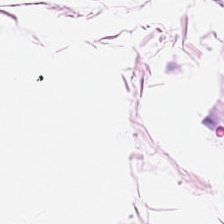Hematoxylin-and-eosin stained section — Q: What is shown in this field?
A: The field shows adipose tissue.
